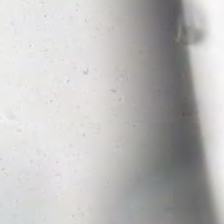224×224 px tile · hematoxylin-and-eosin stained section. Classification — background (no tissue).
